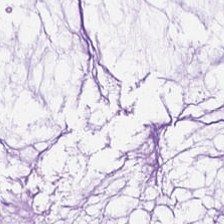H&E-stained tissue section. {"tissue_type": "extracellular mucin"}
